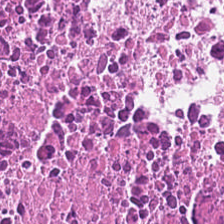Hematoxylin-and-eosin stained section — Q: What type of tissue is this?
A: This is debris.
